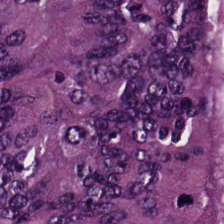Formalin-fixed paraffin-embedded section; hematoxylin and eosin. Q: What type of tissue is this?
A: This is tumor epithelium.
